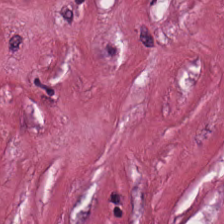Hematoxylin-and-eosin section: desmoplastic stroma.
